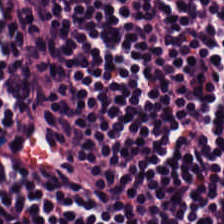Hematoxylin-and-eosin stained section; 224×224 pixel tile.
The tissue here is lymphocyte aggregate.
